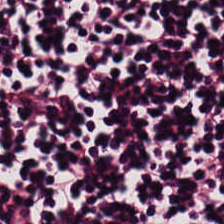H&E-stained tissue section showing lymphoid infiltrate.
